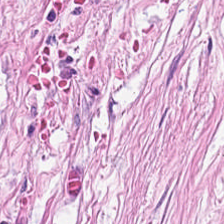224×224 px patch · hematoxylin and eosin.
Predominant tissue = tumor-associated stroma.
